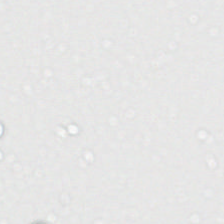Hematoxylin-and-eosin stained section.
The classification is background (no tissue).
